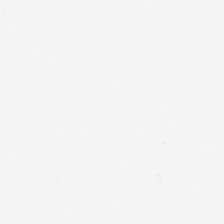Field content — empty background.
